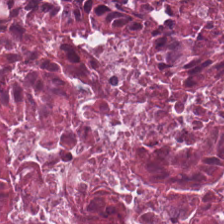H&E. Impression — debris.
